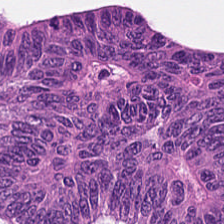The predominant tissue is colorectal adenocarcinoma.
